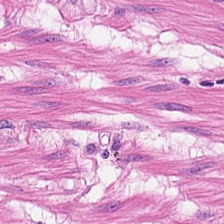H&E stain · brightfield microscopy.
Histology → smooth muscle.
